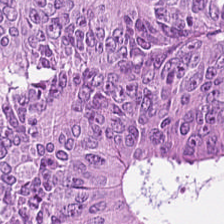Hematoxylin-and-eosin stained section — The tissue type is tumor epithelium.
